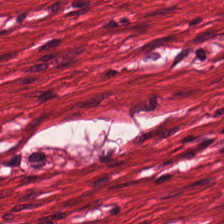H&E stain. Showing smooth muscle.
